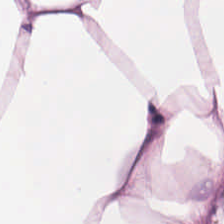The tissue class is fat tissue.
